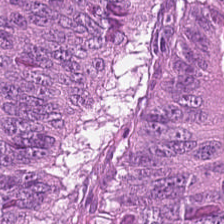{"tissue_type": "colorectal adenocarcinoma epithelium"}
